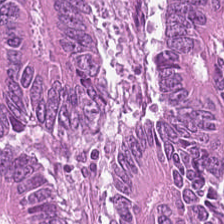H&E.
Q: What does this patch show?
A: It is colorectal adenocarcinoma.
